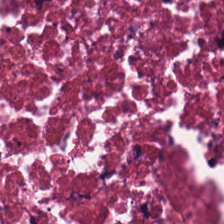H&E-stained tissue section. Q: What is shown in this field?
A: The field shows cellular debris.
